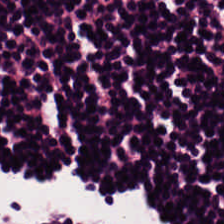H&E — Finding → lymphoid infiltrate.
